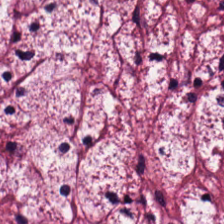20× equivalent magnification; hematoxylin-and-eosin stained section.
Tissue type = tumor stroma.
